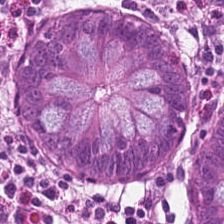H&E-stained tissue section. This patch shows normal colon mucosa.
